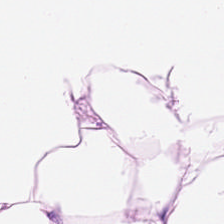224×224 px tile. H&E stain. Fat tissue.
